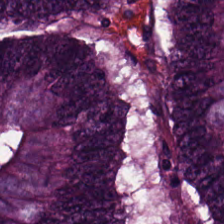0.5 µm/px · brightfield microscopy · H&E-stained tissue section.
Showing tumor epithelium.
